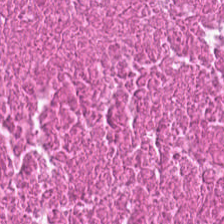H&E — Tissue: debris.
